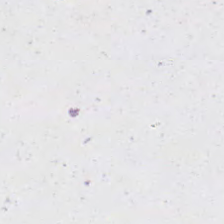224×224 px patch; H&E stain. Q: Classify this patch.
A: The field shows no tissue.
